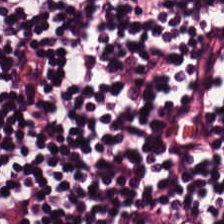H&E — lymphocyte aggregate.
